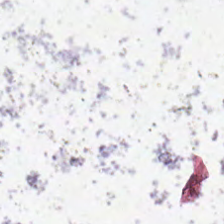H&E.
Histology — background (no tissue).
